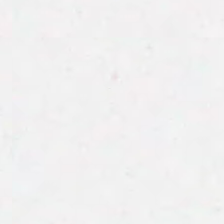Hematoxylin and eosin.
Q: Classify this patch.
A: The field shows background (no tissue).
